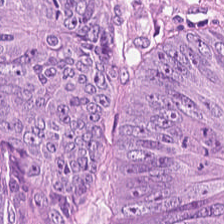FFPE · H&E-stained tissue section — Q: What is shown here?
A: This is adenocarcinoma.
